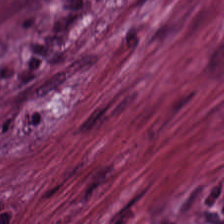H&E; 224×224 px tile; 0.5 microns per pixel. {"tissue_type": "tumor-associated stroma"}
